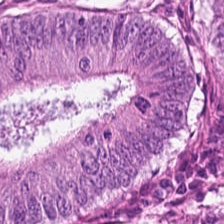Hematoxylin-and-eosin stained section.
The tissue here is colorectal adenocarcinoma epithelium.
